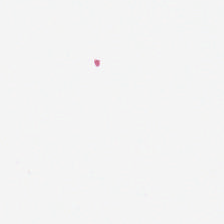H&E stain.
No tissue present; background only.
